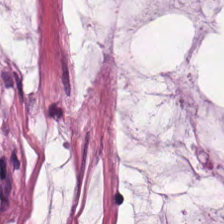H&E — Mucus.
